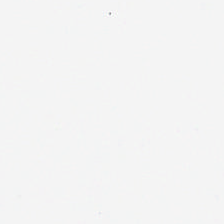H&E-stained tissue section; brightfield microscopy — This field is background (no tissue).
